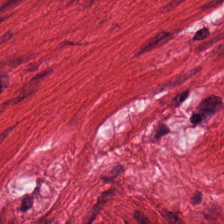H&E-stained tissue section — The classification is smooth muscle.
